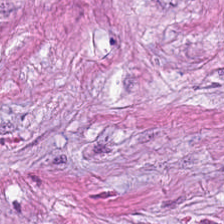Brightfield microscopy. 20× equivalent magnification. H&E-stained tissue section. Tissue class: tumor-associated stroma.
